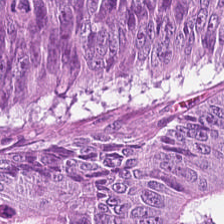H&E — Predominantly colorectal adenocarcinoma.
